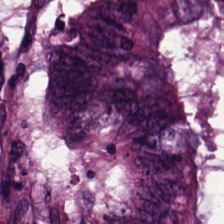H&E-stained tissue section showing colorectal adenocarcinoma epithelium.
